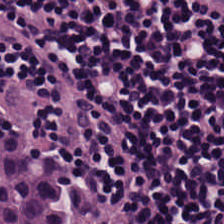20× equivalent magnification · WSI patch · H&E stain. Tissue type = lymphocyte aggregate.
